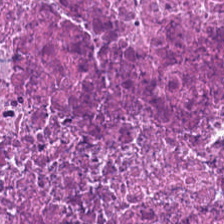FFPE tissue section. H&E stain. 0.5 microns per pixel — Classification: cellular debris.
